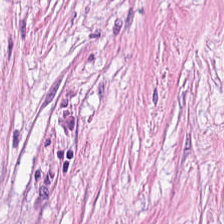Hematoxylin-and-eosin stained section — Tumor stroma.
